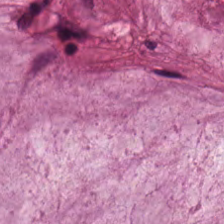H&E-stained tissue section. The tissue here is extracellular mucin.
